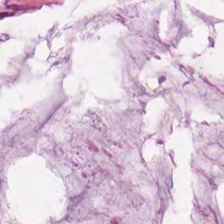Hematoxylin and eosin.
The tissue here is mucus.
